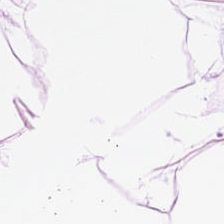H&E-stained tissue section. This patch shows adipose.
